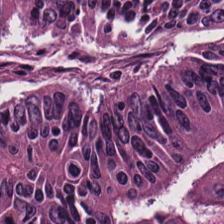FFPE; 224×224 px patch; hematoxylin-and-eosin stained section. The predominant tissue is colorectal adenocarcinoma epithelium.
